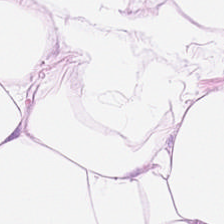Tissue class — adipose tissue.
